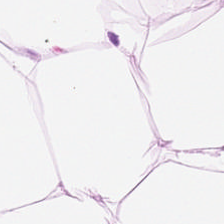0.5 µm per pixel · H&E. This field is adipose.
